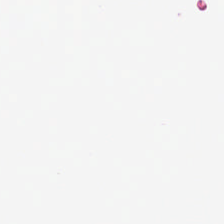H&E stain. 224×224 px patch. Brightfield microscopy. This patch shows background.
